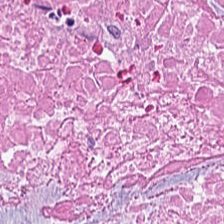H&E-stained tissue section. The predominant tissue is necrotic debris.
